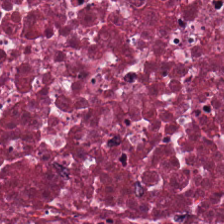Hematoxylin-and-eosin stained section — Impression → necrotic debris.
